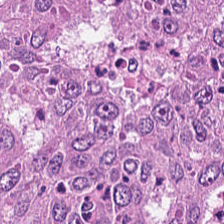Hematoxylin and eosin — This field is adenocarcinoma.
